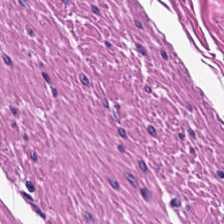Stain: hematoxylin-and-eosin stained section.
Preparation: formalin-fixed paraffin-embedded section.
Tile size: 224×224 px patch.
Tissue: muscularis.
